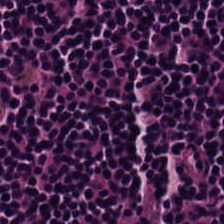The tissue here is lymphocytic infiltrate.
